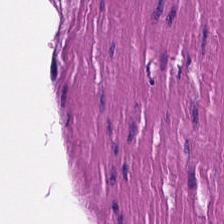H&E · formalin-fixed paraffin-embedded section.
Tissue type: smooth-muscle tissue.
